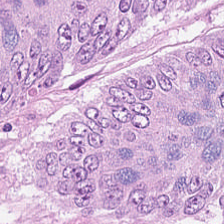Stain: H&E.
Acquisition: whole-slide-image patch.
Preparation: formalin-fixed paraffin-embedded section.
Tissue type: colorectal adenocarcinoma epithelium.
